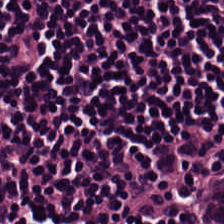This patch shows lymphocytes.
